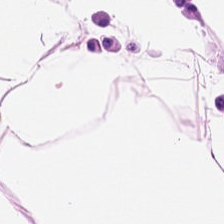H&E — The tissue here is adipose.
